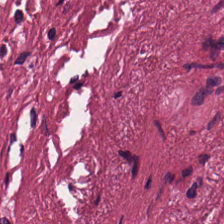This patch shows tumor stroma.
